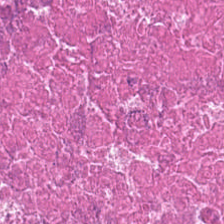Stain: H&E.
Tile size: 224×224 px patch.
Predominant tissue: cellular debris.
